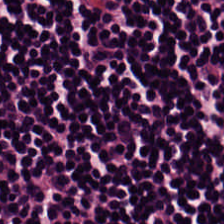Hematoxylin-and-eosin stained section. The tissue here is lymphoid infiltrate.
